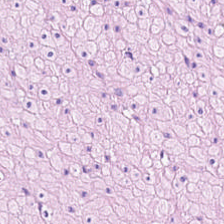H&E.
Q: What tissue type is shown here?
A: Smooth muscle.
